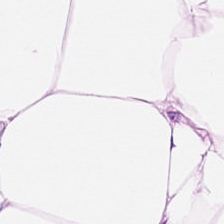H&E-stained tissue section.
Q: Identify the tissue.
A: This is adipocytes.
